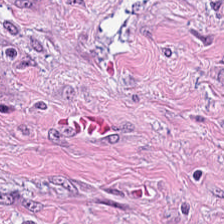H&E.
Tissue class = desmoplastic stroma.
